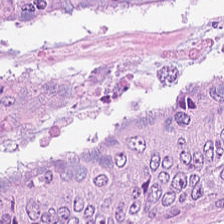H&E — Q: What does this patch show?
A: This is tumor epithelium.
